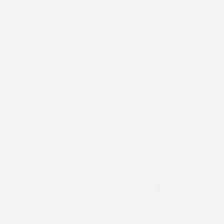Stain: H&E stain.
Classification: empty background.
